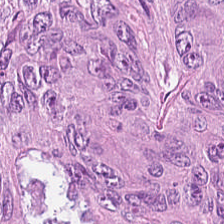H&E; whole-slide-image patch; 0.5 microns per pixel — Predominant tissue — tumor epithelium.
